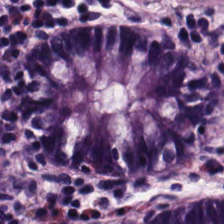Predominantly non-neoplastic colon mucosa.
